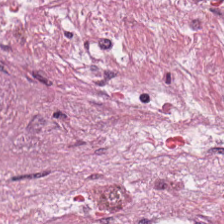Classification = desmoplastic stroma.
